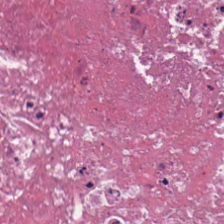Tissue class: cellular debris.
